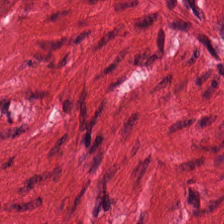Hematoxylin-and-eosin stained section — Tissue class — smooth muscle.
